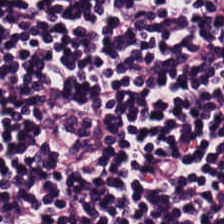Stain: H&E stain.
Predominant tissue: lymphoid infiltrate.
